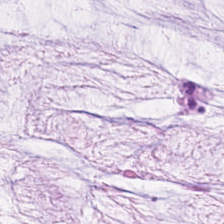Formalin-fixed paraffin-embedded section. H&E.
Q: What does this patch show?
A: This is mucus.
